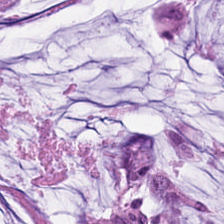WSI patch; hematoxylin-and-eosin stained section; 224×224 px tile — Q: What does this patch show?
A: This is mucin.
